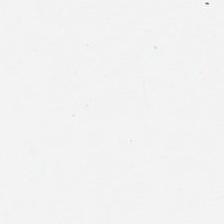H&E-stained tissue section. 0.5 µm per pixel. Formalin-fixed paraffin-embedded section. Finding — background.
